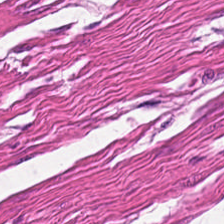Hematoxylin-and-eosin stained section · whole-slide-image patch — Histology — smooth-muscle tissue.
